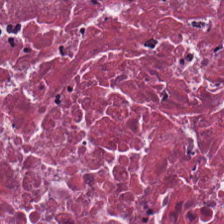The predominant tissue is cellular debris.
